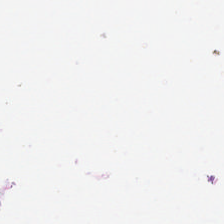0.5 µm/px. WSI patch. H&E stain.
Finding → empty background.
